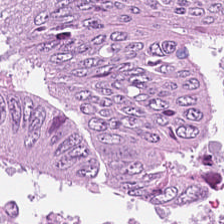Histology → colorectal adenocarcinoma epithelium.
